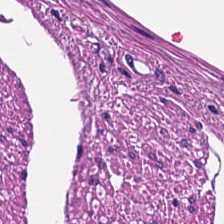Hematoxylin and eosin — Q: What is the predominant tissue type?
A: The field shows smooth-muscle tissue.
